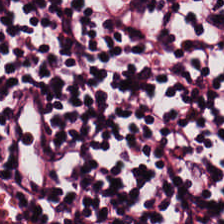Predominantly lymphoid infiltrate.
